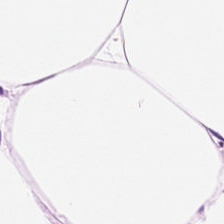H&E-stained tissue section. Showing adipose.
